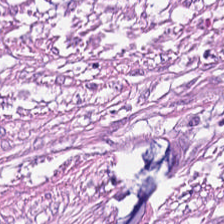This field is cancer-associated stroma.
